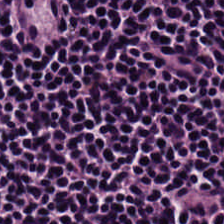224×224 pixel tile. H&E-stained tissue section.
{"tissue_type": "lymphocytic infiltrate"}
